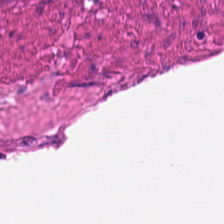Stain: H&E.
Acquisition: brightfield microscopy.
Tissue: smooth muscle.
